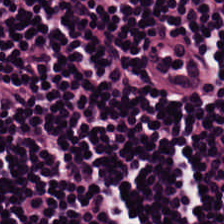Brightfield. 20× equivalent magnification. H&E-stained tissue section.
{"tissue_type": "lymphocytes"}
